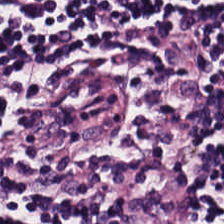Hematoxylin-and-eosin stained section.
The tissue here is lymphocytes.
